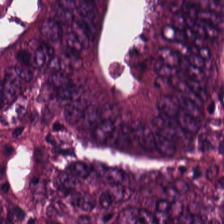Hematoxylin and eosin. The tissue here is colorectal adenocarcinoma epithelium.
